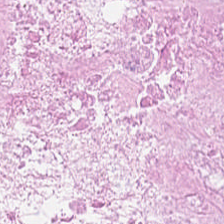Q: What does this patch show?
A: The field shows necrotic debris.
